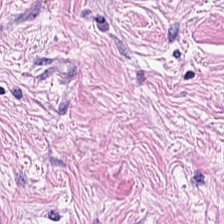H&E-stained tissue section. The tissue here is desmoplastic stroma.
